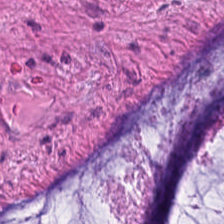WSI patch · H&E stain — Q: What type of tissue is this?
A: It is mucus.
